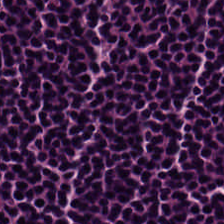Hematoxylin and eosin. Impression → lymphoid infiltrate.
